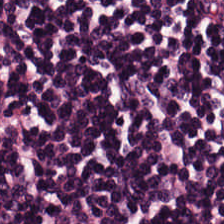H&E. Tissue type = lymphocytes.
